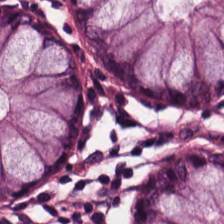H&E.
Q: What is the predominant tissue type?
A: This is normal colon mucosa.
